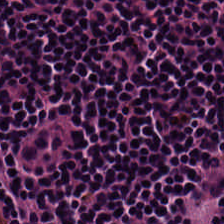H&E stain — This patch shows lymphocytes.
